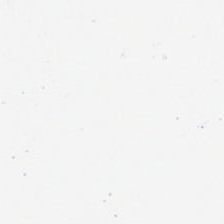H&E stain · FFPE.
Field content: empty background.
